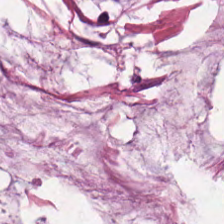Stain: hematoxylin-and-eosin stained section.
Tissue type: extracellular mucin.
